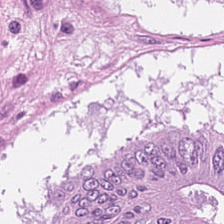H&E stain; 224×224 pixel tile.
This patch shows adenocarcinoma.
